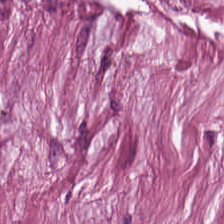H&E · WSI patch. Tissue type: tumor stroma.
